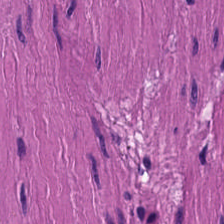H&E-stained tissue section · WSI patch · 0.5 microns per pixel.
Finding → smooth muscle.
